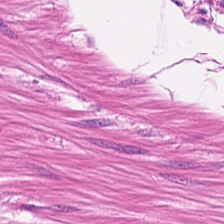H&E-stained tissue section — Classification: smooth muscle.
